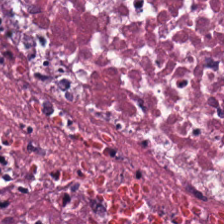H&E — Q: What tissue is shown?
A: Necrotic debris.
